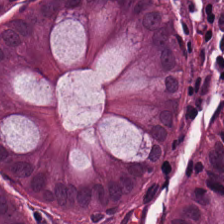H&E — Impression → benign colonic mucosa.
